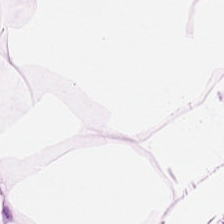H&E stain — Q: Classify this patch.
A: The field shows fat tissue.
